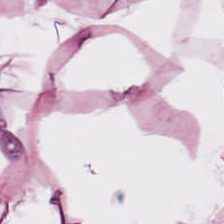Stain: hematoxylin-and-eosin stained section.
Preparation: FFPE.
Classification: adipocytes.
